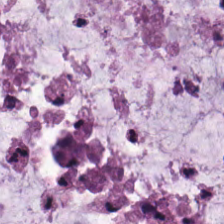Tissue type: mucin.
